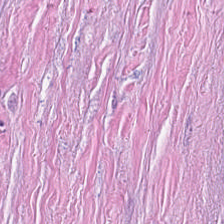H&E.
Q: What tissue type is shown here?
A: Desmoplastic stroma.
